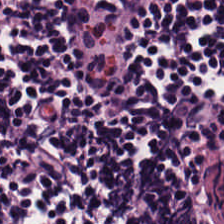224×224 px tile; H&E — Showing lymphocyte aggregate.
